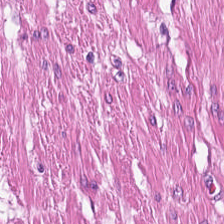Tissue: smooth muscle.
